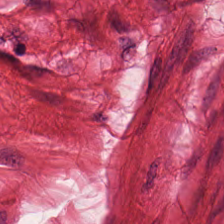H&E stain · whole-slide-image patch. Q: What is shown here?
A: It is smooth-muscle tissue.
